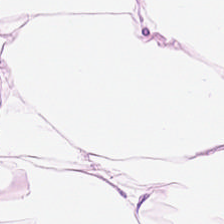0.5 µm per pixel · 224×224 pixel tile · H&E-stained tissue section.
Classification — adipocytes.
